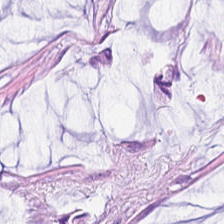FFPE · hematoxylin and eosin · 0.5 microns per pixel. This field is extracellular mucin.
